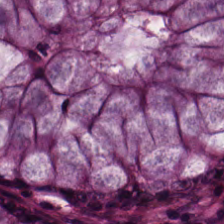H&E-stained tissue section — Normal colonic mucosa.
